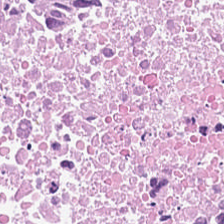H&E. Classification — cellular debris.
